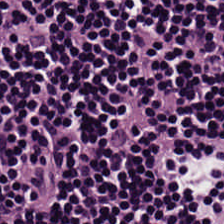H&E — {"tissue_type": "lymphocytes"}
